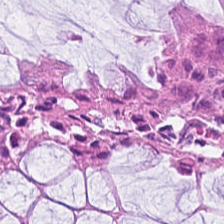0.5 µm per pixel; H&E. Q: What tissue is shown?
A: The field shows normal colon mucosa.
